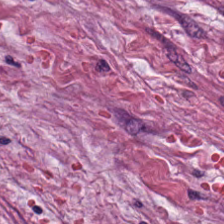H&E. Q: What tissue is shown?
A: Tumor-associated stroma.
